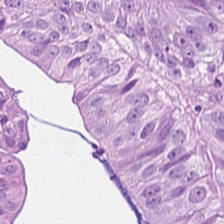Hematoxylin-and-eosin stained section.
The tissue here is colorectal adenocarcinoma.
